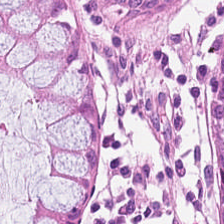Hematoxylin and eosin · formalin-fixed paraffin-embedded section — The predominant tissue is non-neoplastic colon mucosa.
